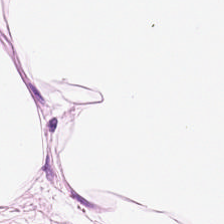Predominant tissue — adipocytes.
